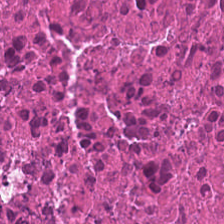H&E — Tissue — cellular debris.
